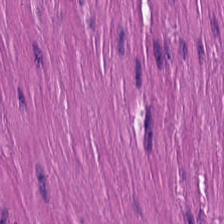224×224 px tile · 20× equivalent magnification · H&E-stained tissue section — Tissue class — muscularis.
